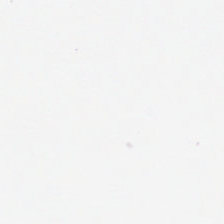Q: Classify this patch.
A: The field shows no tissue.
